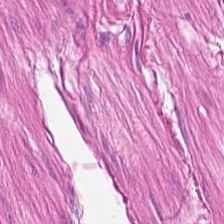Stain: hematoxylin and eosin.
Predominant tissue: smooth-muscle tissue.
